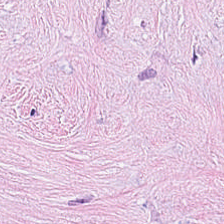0.5 µm/px; hematoxylin-and-eosin stained section.
This patch shows cancer-associated stroma.
